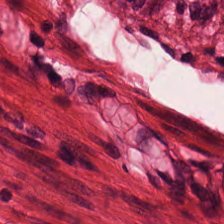Stain: H&E.
Tissue class: muscularis.
